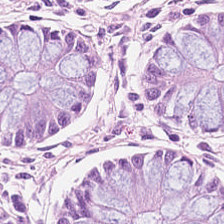This field is normal colonic mucosa.
